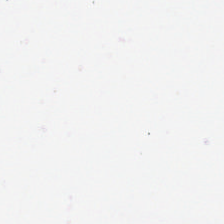Brightfield microscopy · hematoxylin-and-eosin stained section.
Impression → background.
